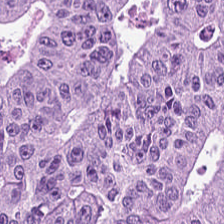Formalin-fixed paraffin-embedded section · whole-slide-image patch · H&E. Q: Classify this patch.
A: The field shows colorectal adenocarcinoma epithelium.
